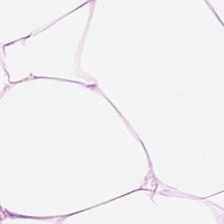H&E — Adipose tissue.
